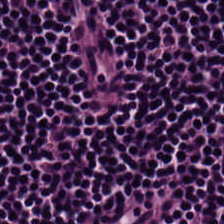FFPE tissue section · 0.5 microns per pixel · H&E — Q: Classify this patch.
A: Lymphocytic infiltrate.
